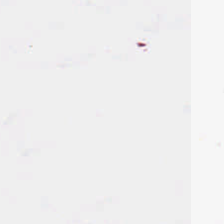Brightfield microscopy · 0.5 µm per pixel · hematoxylin-and-eosin stained section.
The classification is empty background.
